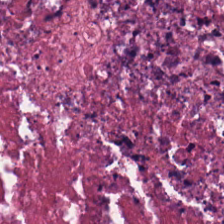This patch shows cellular debris.
